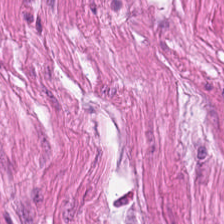H&E — Q: What is shown here?
A: Smooth-muscle tissue.
